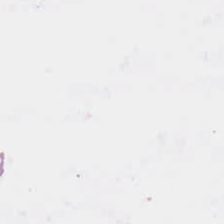Stain: H&E stain.
Resolution: 0.5 µm/px.
Classification: background.
